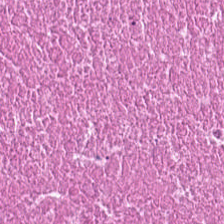Hematoxylin and eosin. This field is necrotic debris.
